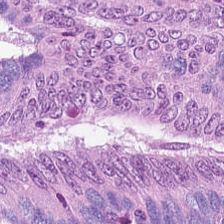Q: What type of tissue is this?
A: Tumor epithelium.
